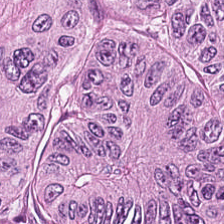The tissue is tumor epithelium.
